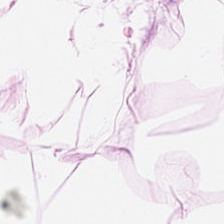Hematoxylin-and-eosin stained section. The tissue type is adipose.
